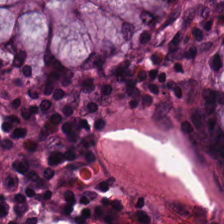H&E-stained tissue section — Tissue class — benign colonic mucosa.
